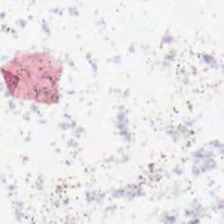H&E stain — Classification: empty background.
